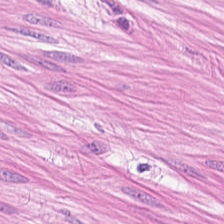Showing smooth-muscle tissue.
